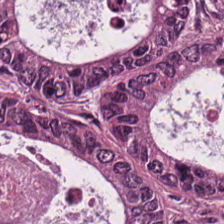H&E-stained tissue section. The tissue class is adenocarcinoma.
